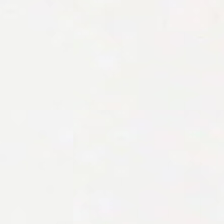H&E-stained tissue section. This patch shows background (no tissue).
